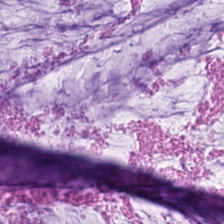H&E stain — Histology → extracellular mucin.
